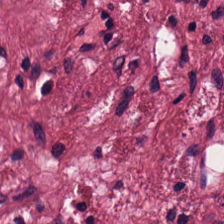The tissue here is tumor stroma.
